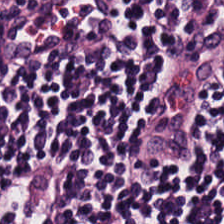Tissue type = lymphoid infiltrate.
